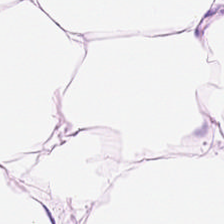Finding → adipose tissue.
